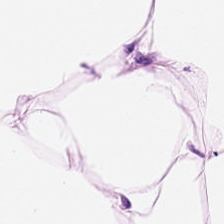H&E-stained tissue section · 224×224 pixel tile.
The predominant tissue is fat tissue.
